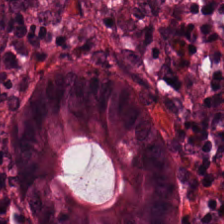FFPE. H&E. Q: What is the predominant tissue type?
A: It is benign colonic mucosa.
